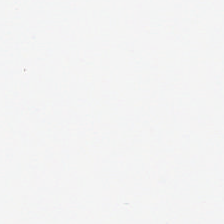H&E-stained tissue section. Field content = empty background.
